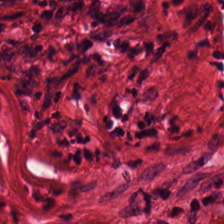224×224 pixel tile; H&E-stained tissue section.
The tissue class is tumor stroma.
